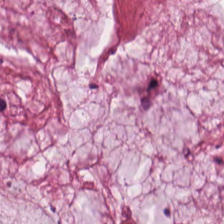0.5 µm per pixel; H&E stain — Finding → mucus.
